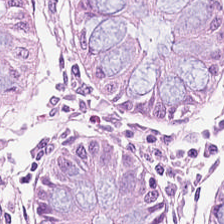H&E.
Q: What is shown in this field?
A: This is normal colon mucosa.
